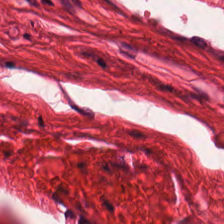Stain: H&E.
Tissue type: muscularis.
